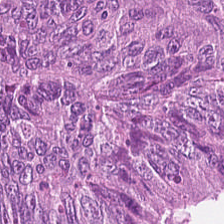224×224 px patch · hematoxylin-and-eosin stained section — The classification is malignant epithelium.
